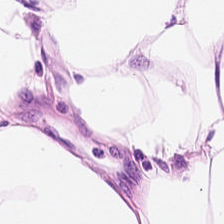H&E-stained tissue section — This patch shows adipose tissue.
